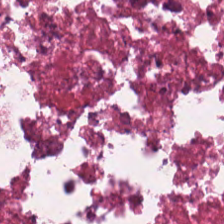Histology → cellular debris.
